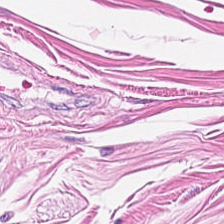Whole-slide-image patch. Hematoxylin and eosin — Smooth-muscle tissue.
